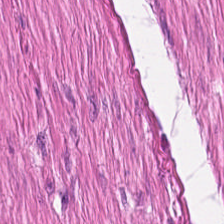Q: What is shown in this field?
A: It is smooth-muscle tissue.
